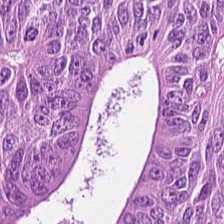Hematoxylin-and-eosin stained section. This field is tumor epithelium.
